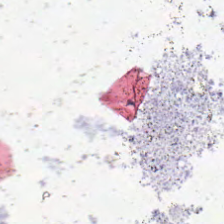H&E — Field content = background (no tissue).
